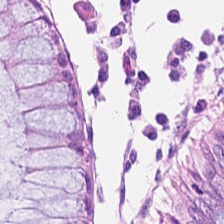H&E-stained tissue section. Q: What is shown here?
A: It is normal colon mucosa.
